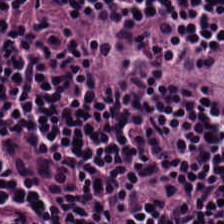The tissue here is lymphocytic infiltrate.
